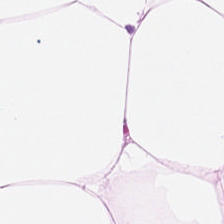H&E. 0.5 µm per pixel.
Showing adipose tissue.
